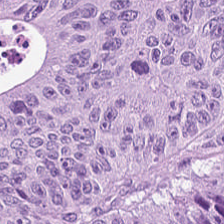H&E stain; brightfield.
Q: Identify the tissue.
A: This is malignant epithelium.
